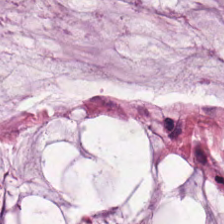Hematoxylin-and-eosin section: mucus.
